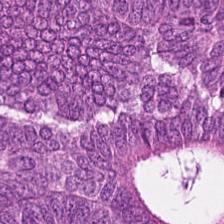Q: What is shown in this field?
A: Tumor epithelium.
